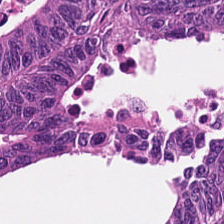H&E-stained tissue section. Classification: malignant epithelium.
